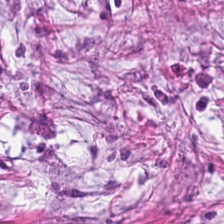Hematoxylin and eosin; WSI patch; 224×224 pixel tile. This patch shows tumor stroma.
